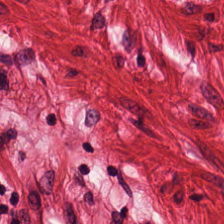H&E-stained tissue section — This patch shows muscularis.
